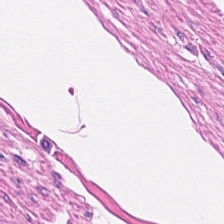H&E stain. This patch shows muscularis.
